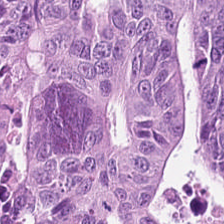0.5 µm/px. Hematoxylin-and-eosin stained section — Q: What is shown here?
A: The field shows tumor epithelium.
